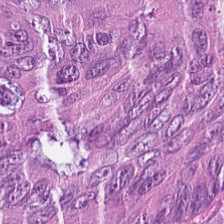224×224 px tile; H&E-stained tissue section; WSI patch.
The predominant tissue is malignant epithelium.
